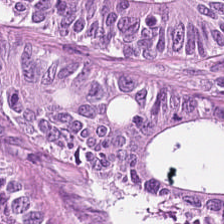Hematoxylin and eosin — Q: What is shown here?
A: It is colorectal adenocarcinoma.
